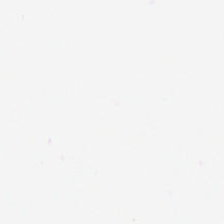H&E-stained tissue section — Q: What is shown here?
A: It is background.
